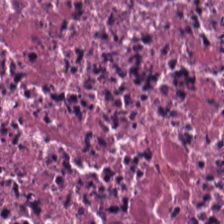224×224 px patch; H&E stain — Q: What tissue type is shown here?
A: It is debris.
